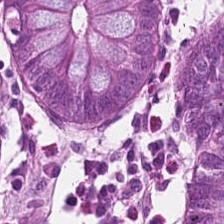Brightfield microscopy; hematoxylin and eosin. The tissue here is normal colonic mucosa.
